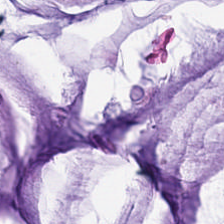H&E stain · 224×224 px tile.
Showing mucus.
